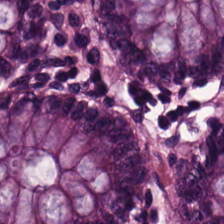Q: What is shown here?
A: The field shows non-neoplastic colon mucosa.
